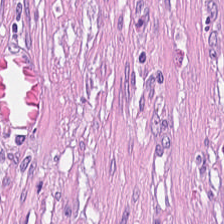H&E; FFPE tissue section.
The predominant tissue is cancer-associated stroma.
